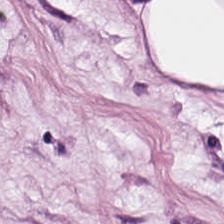H&E-stained tissue section.
Tissue type — adipose.
